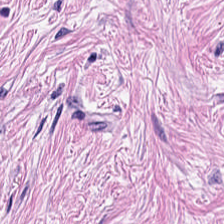Hematoxylin and eosin. Predominantly tumor stroma.
